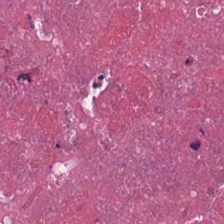Classification = cellular debris.
